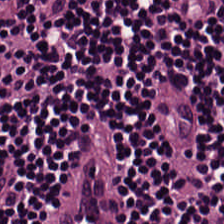0.5 microns per pixel. Hematoxylin-and-eosin stained section. FFPE tissue section.
Histology → lymphoid infiltrate.
